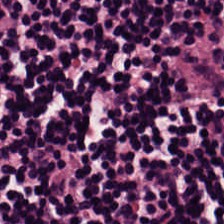H&E stain.
This patch shows lymphocyte aggregate.
